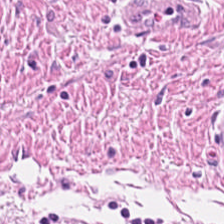Hematoxylin-and-eosin stained section — This patch shows smooth-muscle tissue.
